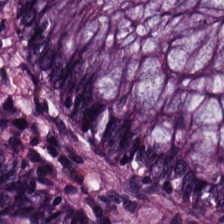Brightfield. H&E stain.
The tissue class is benign colonic mucosa.
